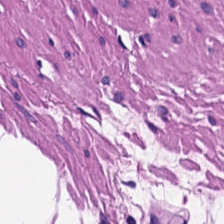H&E-stained tissue section · WSI patch.
Predominantly smooth-muscle tissue.
